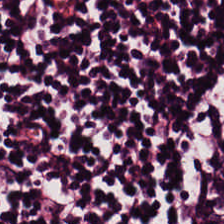Showing lymphocytes.
